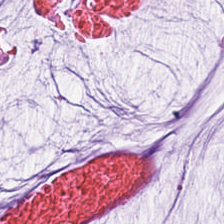Hematoxylin-and-eosin stained section. Q: What is shown in this field?
A: Extracellular mucin.
